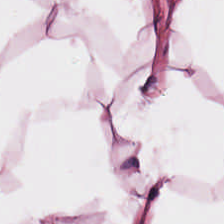Hematoxylin and eosin. Brightfield — The predominant tissue is adipocytes.
